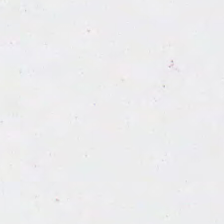H&E.
Empty field — empty background.
